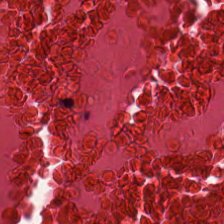H&E patch showing cellular debris.
